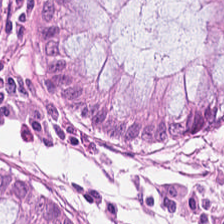Brightfield microscopy; H&E — Tissue type — benign colonic mucosa.
